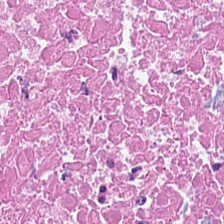Hematoxylin-and-eosin stained section · 224×224 px tile. This patch shows necrotic debris.
